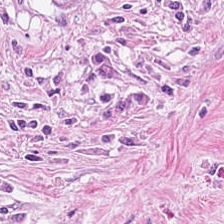H&E; 0.5 microns per pixel.
Predominantly cancer-associated stroma.
